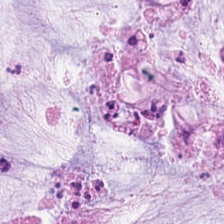H&E.
Predominantly mucus.
